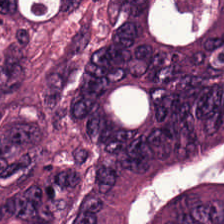Q: What is the predominant tissue type?
A: It is malignant epithelium.
